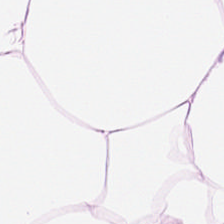H&E. The predominant tissue is adipose.
